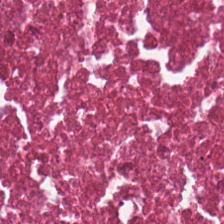Formalin-fixed paraffin-embedded section. 20× equivalent magnification. H&E stain — Histology → debris.
